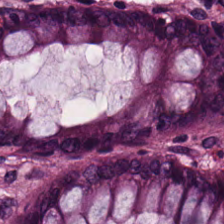H&E-stained tissue section; FFPE — Histology — benign colonic mucosa.
